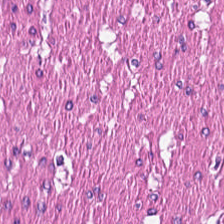H&E stain.
The predominant tissue is smooth muscle.
